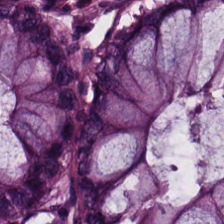H&E.
Tissue type: non-neoplastic colon mucosa.
